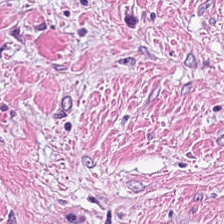Finding → tumor stroma.
